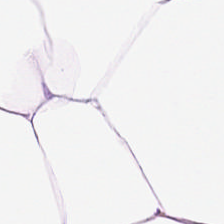Whole-slide-image patch · 224×224 px tile · hematoxylin-and-eosin stained section.
The tissue class is adipocytes.
